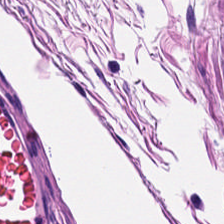H&E-stained tissue section.
This patch shows smooth-muscle tissue.
